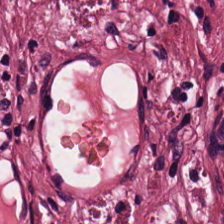224×224 px patch; H&E stain; 0.5 microns per pixel. Tissue = cancer-associated stroma.
